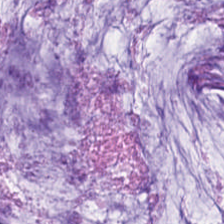H&E-stained tissue section.
This field is mucus.
